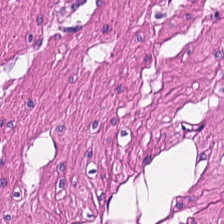H&E stain. FFPE — {"tissue_type": "smooth muscle"}
